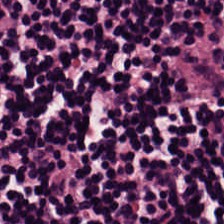Histology — lymphoid infiltrate.
